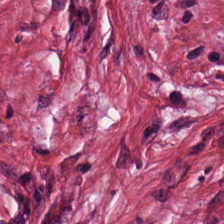H&E-stained tissue section showing cancer-associated stroma.
